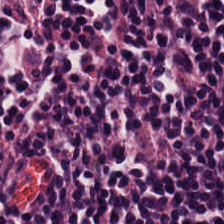Classification — lymphoid infiltrate.
